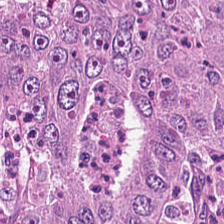Stain: hematoxylin-and-eosin stained section.
Classification: colorectal adenocarcinoma.
